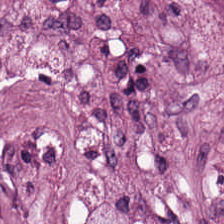H&E.
Tissue type — cancer-associated stroma.
